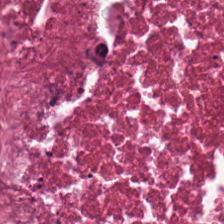H&E-stained section; the field shows cellular debris.
